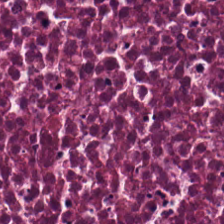The tissue here is cellular debris.
